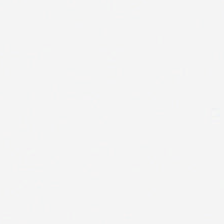H&E stain. Empty background.
